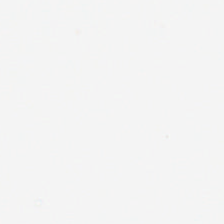H&E stain.
Finding → background.
